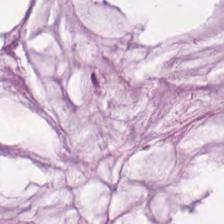Hematoxylin and eosin — This patch shows mucin.
